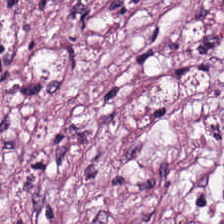Hematoxylin-and-eosin stained section.
Tissue type — tumor-associated stroma.
